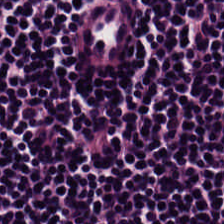Formalin-fixed paraffin-embedded section; hematoxylin-and-eosin stained section. {"tissue_type": "lymphocyte aggregate"}
